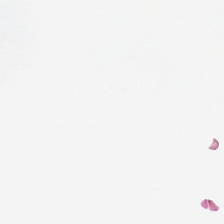{"content": "background"}
